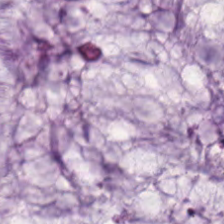Showing extracellular mucin.
